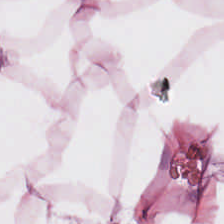Stain: H&E-stained tissue section.
Preparation: formalin-fixed paraffin-embedded section.
Tissue class: adipose.
